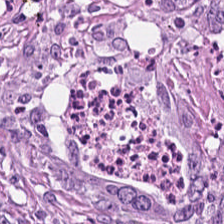H&E. Finding — tumor stroma.
